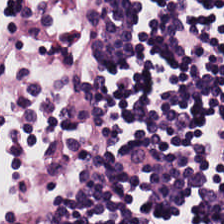H&E; formalin-fixed paraffin-embedded section; 0.5 microns per pixel — Impression → lymphoid infiltrate.
